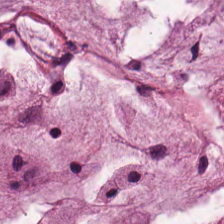Hematoxylin-and-eosin stained section. Predominantly mucin.
